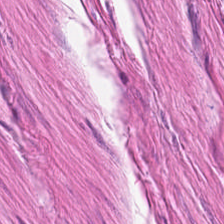224×224 px tile · H&E. The tissue class is muscularis.
